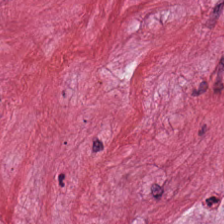Stain: H&E stain.
Preparation: FFPE.
Tissue: tumor stroma.
